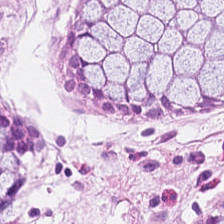H&E-stained tissue section — Tissue type: normal colon mucosa.
